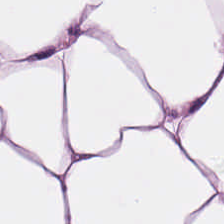H&E-stained tissue section.
Showing adipose.
